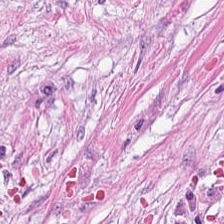H&E stain. Q: Identify the tissue.
A: Desmoplastic stroma.
